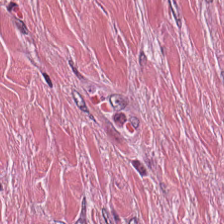Hematoxylin and eosin. This field is cancer-associated stroma.
